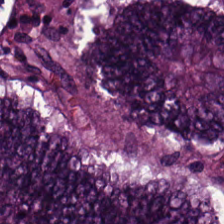H&E-stained tissue section — Predominantly adenocarcinoma.
